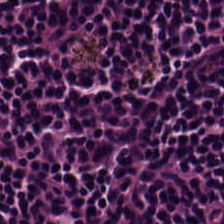H&E stain · formalin-fixed paraffin-embedded section.
This field is lymphoid infiltrate.
